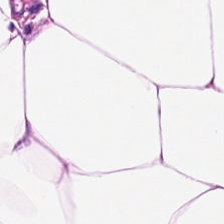224×224 pixel tile · hematoxylin and eosin. Finding → adipocytes.
